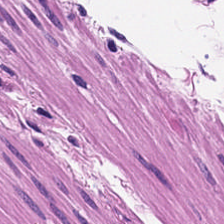Stain: hematoxylin and eosin.
Acquisition: brightfield.
Preparation: FFPE.
Predominant tissue: muscularis.
